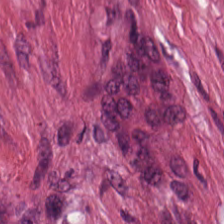The predominant tissue is tumor stroma.
